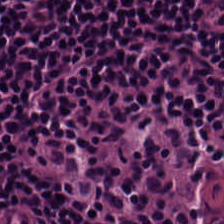Hematoxylin-and-eosin stained section. Q: What is shown here?
A: This is lymphocytes.
